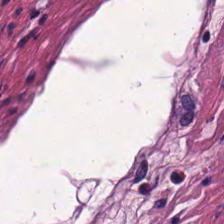H&E-stained tissue section.
Muscularis.
